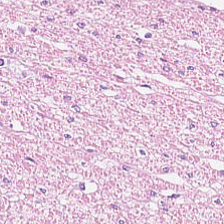Hematoxylin-and-eosin stained section — The tissue here is smooth muscle.
